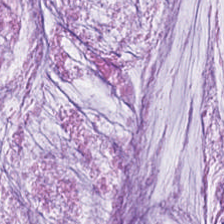Stain: H&E-stained tissue section.
Tile size: 224×224 px patch.
Predominant tissue: extracellular mucin.
